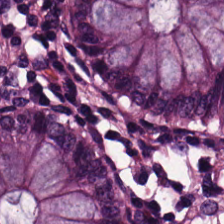Hematoxylin-and-eosin section: benign colonic mucosa.
